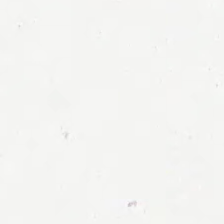The classification is background.
